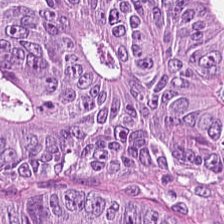H&E — The tissue here is tumor epithelium.
